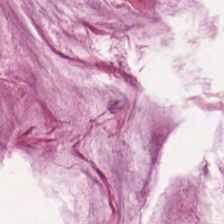Hematoxylin and eosin. Impression → mucus.
